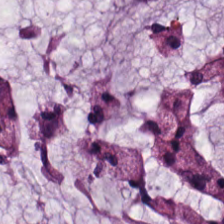H&E — Q: What tissue is shown?
A: The field shows mucin.
